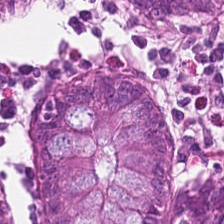0.5 microns per pixel; H&E-stained tissue section.
The tissue here is normal colon mucosa.
